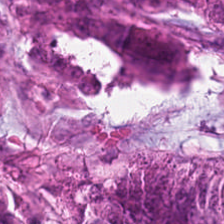H&E — Impression → colorectal adenocarcinoma.
